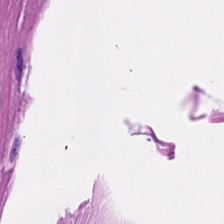Q: What tissue is shown?
A: Smooth muscle.
